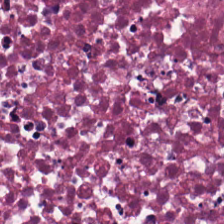224×224 px patch. H&E stain — Finding → necrotic debris.
